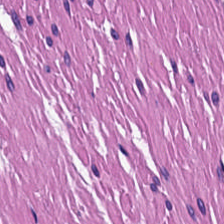Predominant tissue: smooth muscle.
